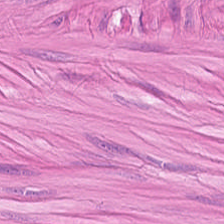0.5 µm per pixel; hematoxylin-and-eosin stained section. {"tissue_type": "smooth-muscle tissue"}
